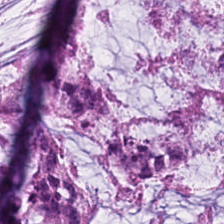Stain: H&E stain.
Acquisition: brightfield microscopy.
Classification: mucus.
